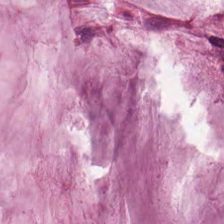Hematoxylin-and-eosin stained section — Q: What is the predominant tissue type?
A: Mucus.
